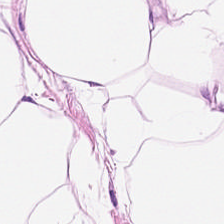0.5 µm/px · H&E. The tissue type is adipose.
